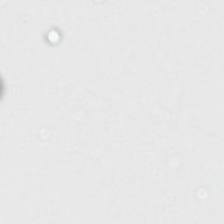Hematoxylin and eosin · 0.5 microns per pixel. {"content": "empty background"}
